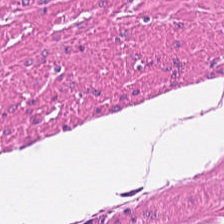FFPE; H&E stain — Classification = muscularis.
